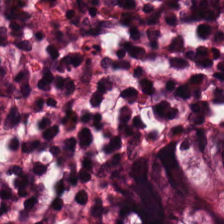H&E. Tissue type = normal colonic mucosa.
